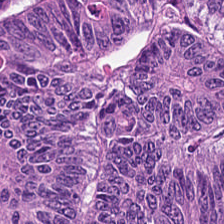Stain: H&E stain.
Tissue class: adenocarcinoma.
